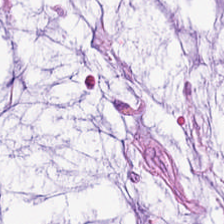The tissue is extracellular mucin.
